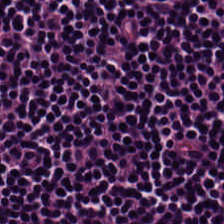H&E stain. {"tissue_type": "lymphocytic infiltrate"}
